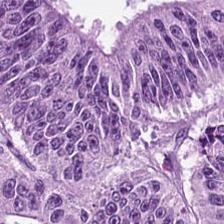Hematoxylin-and-eosin stained section · 0.5 µm per pixel. This patch shows colorectal adenocarcinoma epithelium.
